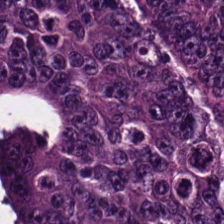224×224 pixel tile. Brightfield. H&E-stained tissue section. Predominantly colorectal adenocarcinoma.
